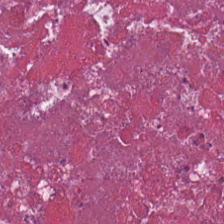H&E — Classification = cellular debris.
